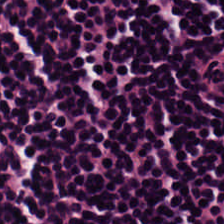H&E stain. Q: What is shown in this field?
A: The field shows lymphoid infiltrate.
